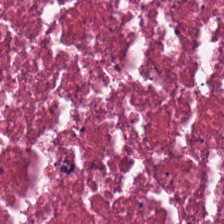H&E-stained tissue section — Predominant tissue = necrotic debris.
